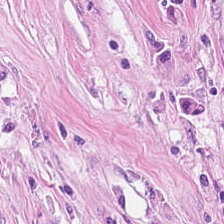The tissue type is desmoplastic stroma.
